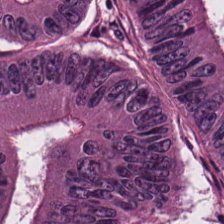Stain: H&E-stained tissue section.
Tissue: colorectal adenocarcinoma epithelium.
